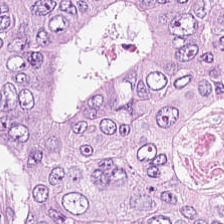Hematoxylin and eosin · WSI patch — Predominant tissue — tumor epithelium.
